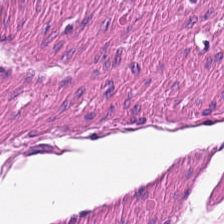The tissue here is smooth muscle.
